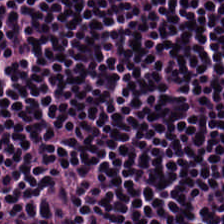Formalin-fixed paraffin-embedded section · WSI patch · H&E stain.
This field is lymphocytic infiltrate.
